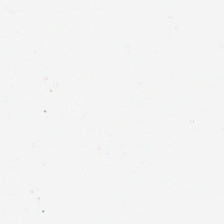H&E stain. Field content = empty background.
